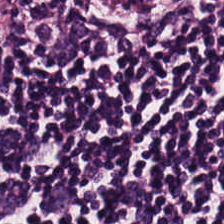H&E — The predominant tissue is lymphocytes.
